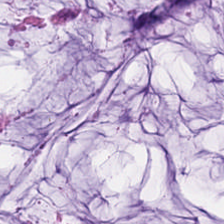Formalin-fixed paraffin-embedded section. 224×224 pixel tile. Hematoxylin-and-eosin stained section — This patch shows mucin.
